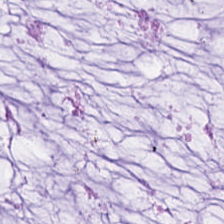H&E-stained tissue section; 0.5 µm per pixel; WSI patch. The predominant tissue is extracellular mucin.
